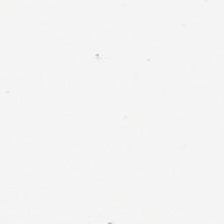Classification — no tissue.
